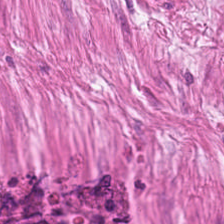This field is smooth-muscle tissue.
